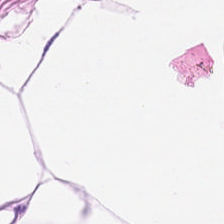H&E · 0.5 µm/px.
Fat tissue.
